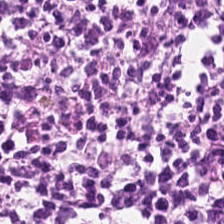Stain: H&E.
Classification: lymphoid infiltrate.
